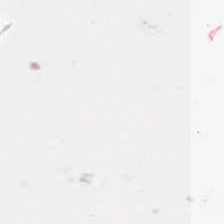Field content: background (no tissue).
